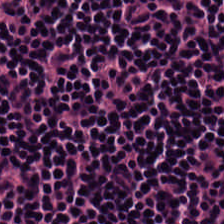Hematoxylin-and-eosin stained section. 0.5 microns per pixel — Predominantly lymphocytic infiltrate.
